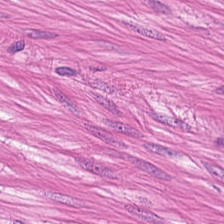H&E-stained tissue section showing muscularis.
